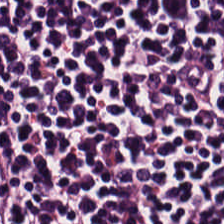224×224 px tile · H&E · WSI patch.
This field is lymphoid infiltrate.
